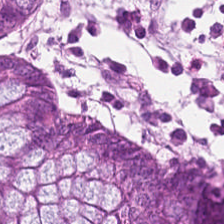0.5 µm/px · H&E-stained tissue section — This field is normal colonic mucosa.
